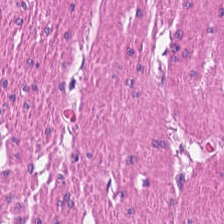Classification — muscularis.
